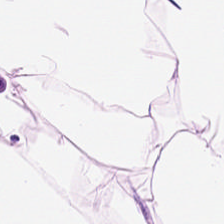H&E — Q: What tissue type is shown here?
A: Adipose.
